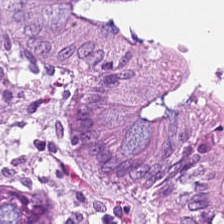Stain: H&E-stained tissue section.
Tissue class: non-neoplastic colon mucosa.
